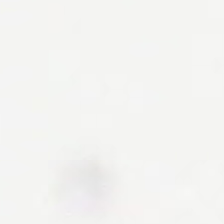Hematoxylin-and-eosin stained section. Classification: background (no tissue).
